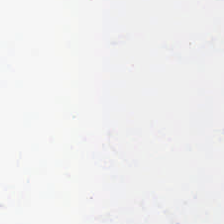FFPE; H&E stain; brightfield. Content = background.
